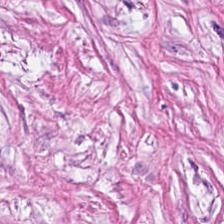224×224 pixel tile. Hematoxylin and eosin — Predominant tissue: desmoplastic stroma.
